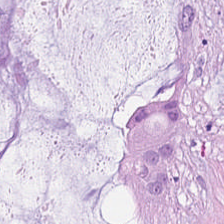Finding → mucus.
